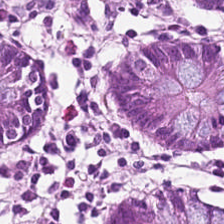Stain: H&E-stained tissue section.
Predominant tissue: normal colon mucosa.
